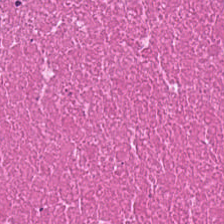H&E — cellular debris.
